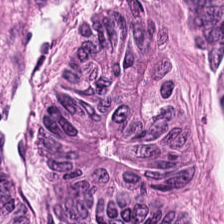Q: What is the predominant tissue type?
A: The field shows adenocarcinoma.
